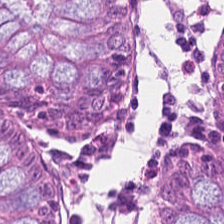H&E. 224×224 pixel tile.
Finding — normal colonic mucosa.
